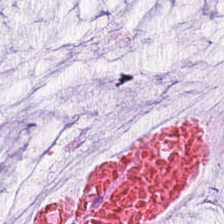The tissue type is mucus.
